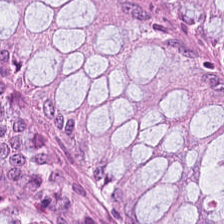20× equivalent magnification; brightfield; hematoxylin-and-eosin stained section.
Showing normal colon mucosa.
